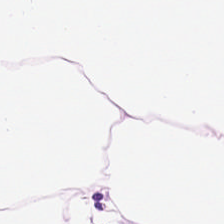H&E stain — This patch shows adipocytes.
